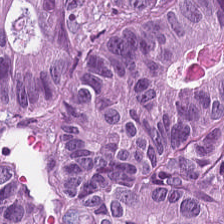Hematoxylin and eosin.
The tissue here is colorectal adenocarcinoma epithelium.
